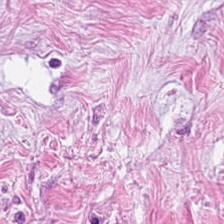FFPE; WSI patch; H&E-stained tissue section — The predominant tissue is tumor-associated stroma.
